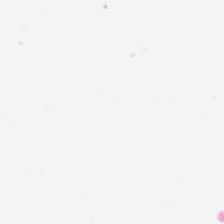H&E stain; brightfield; 224×224 px patch. Empty background.
